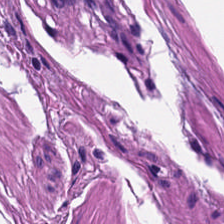20× equivalent magnification. H&E — {"tissue_type": "muscularis"}
